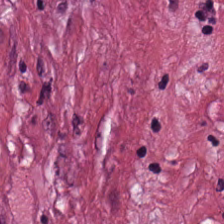Q: Classify this patch.
A: This is tumor stroma.
